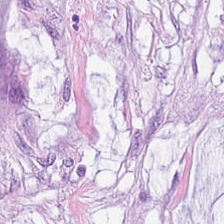Tissue class — mucin.
